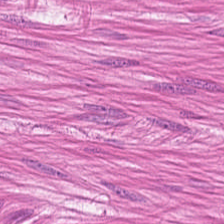The predominant tissue is smooth muscle.
